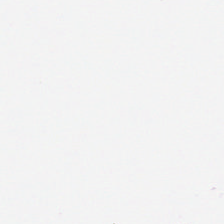Hematoxylin-and-eosin stained section. Content = no tissue.
